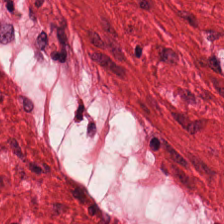H&E stain.
Q: Identify the tissue.
A: This is muscularis.
